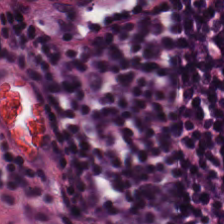Hematoxylin-and-eosin stained section.
Tissue — lymphocyte aggregate.
